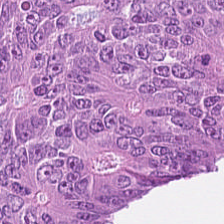WSI patch. Hematoxylin-and-eosin stained section. Tissue class — colorectal adenocarcinoma epithelium.
